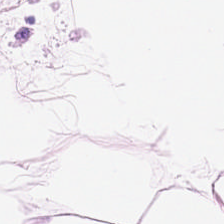224×224 px patch; hematoxylin and eosin. The tissue type is fat tissue.
